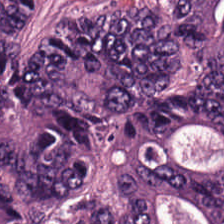224×224 pixel tile. H&E. Tissue class — colorectal adenocarcinoma.
